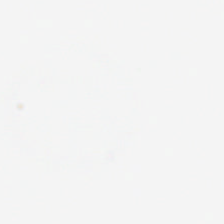Empty field — background (no tissue).
